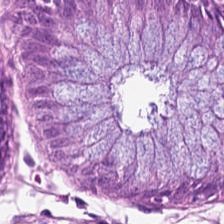Hematoxylin-and-eosin stained section — Predominantly normal colon mucosa.
